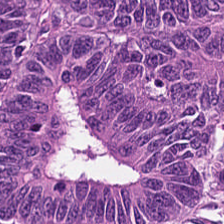H&E-stained tissue section — Tissue class: adenocarcinoma.
